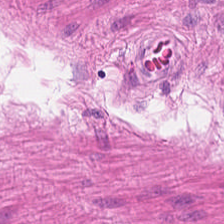0.5 µm/px. H&E. FFPE.
Smooth muscle.
